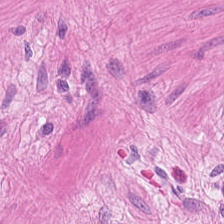224×224 px patch. H&E — Histology → muscularis.
